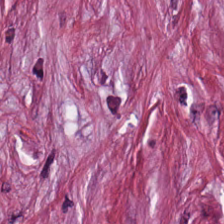Q: What type of tissue is this?
A: The field shows cancer-associated stroma.
